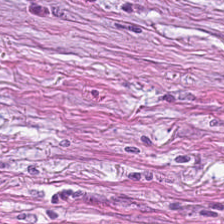Stain: H&E stain.
Tissue type: desmoplastic stroma.
